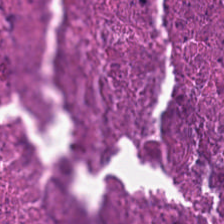Hematoxylin-and-eosin stained section · 224×224 pixel tile. The predominant tissue is necrotic debris.
